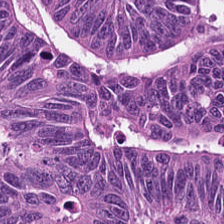Brightfield microscopy. Hematoxylin and eosin. FFPE — Tissue — colorectal adenocarcinoma epithelium.
